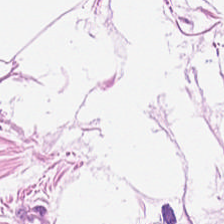Classification: adipose tissue.
